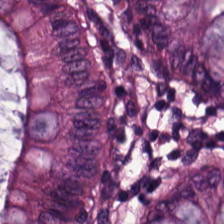Tissue: normal colonic mucosa.
